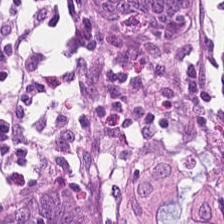Brightfield; H&E; 224×224 pixel tile — {"tissue_type": "normal colonic mucosa"}
